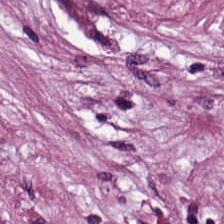H&E-stained tissue section. 224×224 px patch — This field is tumor-associated stroma.
